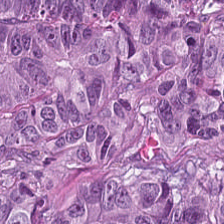H&E — Showing tumor epithelium.
